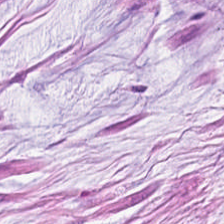Hematoxylin-and-eosin stained section · 0.5 µm per pixel · formalin-fixed paraffin-embedded section.
Predominant tissue = mucus.
